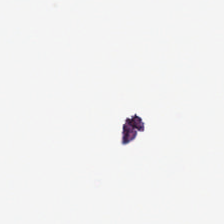Hematoxylin-and-eosin stained section.
Empty field — background (no tissue).
